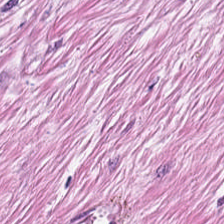Q: What type of tissue is this?
A: It is tumor stroma.
